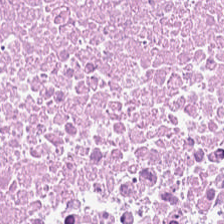224×224 px tile. H&E.
This field is cellular debris.
